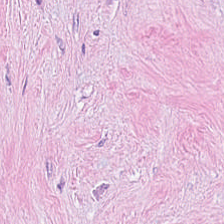Stain: H&E.
Preparation: FFPE tissue section.
Tissue class: desmoplastic stroma.
